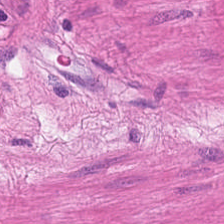Stain: H&E.
Preparation: FFPE.
Acquisition: WSI patch.
Tissue type: smooth muscle.
